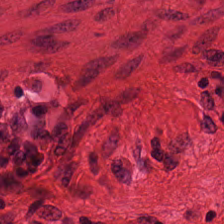0.5 microns per pixel; H&E stain.
Q: Classify this patch.
A: The field shows muscularis.
